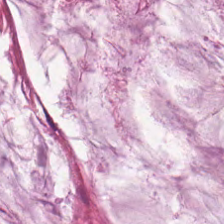Predominant tissue = extracellular mucin.
